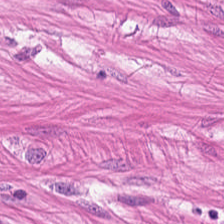Hematoxylin and eosin.
Histology → smooth muscle.
